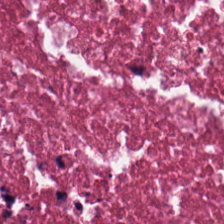H&E-stained tissue section — Finding → debris.
